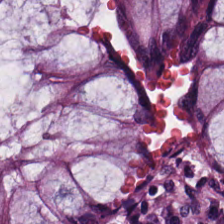Hematoxylin-and-eosin stained section.
Showing benign colonic mucosa.
